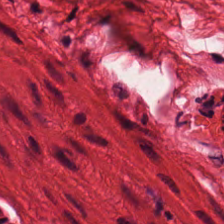H&E-stained tissue section.
The tissue here is smooth muscle.
